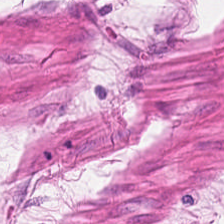Stain: hematoxylin and eosin.
Tissue type: smooth muscle.
